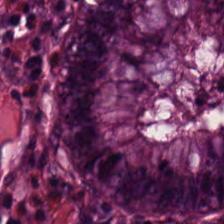H&E stain.
The tissue here is normal colonic mucosa.
